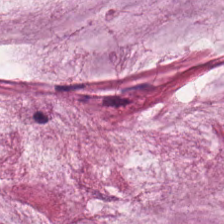Hematoxylin-and-eosin stained section — Tissue — mucus.
